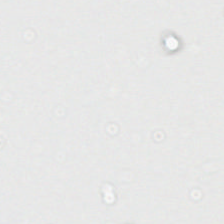H&E — Histology → no tissue.
